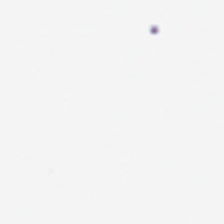224×224 pixel tile · H&E · FFPE tissue section — This field is background (no tissue).
